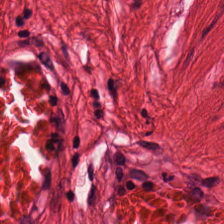224×224 pixel tile; FFPE tissue section; hematoxylin and eosin.
This field is smooth-muscle tissue.
